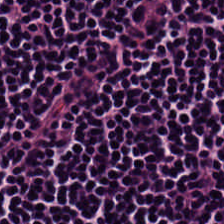Stain: hematoxylin-and-eosin stained section.
Tile size: 224×224 pixel tile.
Tissue: lymphocytic infiltrate.
